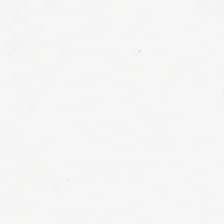Hematoxylin and eosin.
Q: What does this patch show?
A: Background (no tissue).
